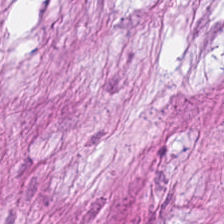Desmoplastic stroma.
